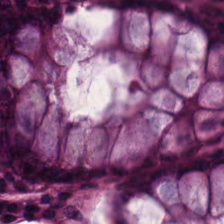H&E. Whole-slide-image patch — The predominant tissue is benign colonic mucosa.
